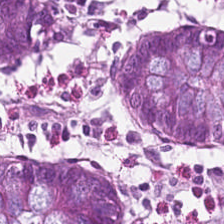Q: What type of tissue is this?
A: This is normal colon mucosa.
